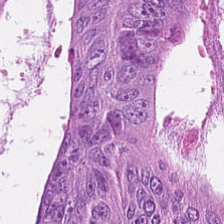H&E stain · 224×224 pixel tile.
Colorectal adenocarcinoma.
